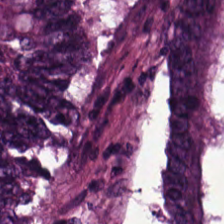0.5 microns per pixel · H&E-stained tissue section.
The classification is colorectal adenocarcinoma epithelium.
